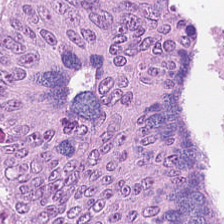Hematoxylin and eosin.
Q: Classify this patch.
A: The field shows tumor epithelium.
